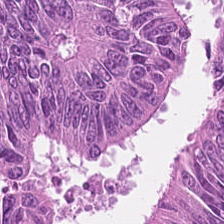224×224 px patch · hematoxylin and eosin. This patch shows malignant epithelium.
